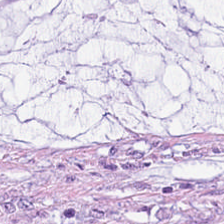{"tissue_type": "extracellular mucin"}
